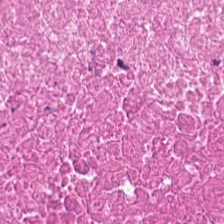Classification = cellular debris.
